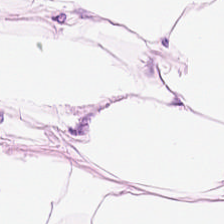0.5 µm per pixel · brightfield · H&E stain.
Tissue class: adipose.
